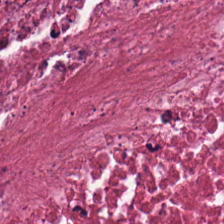Hematoxylin-and-eosin stained section.
The predominant tissue is cellular debris.
